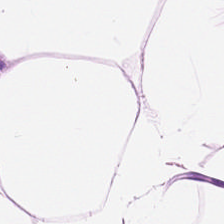Hematoxylin-and-eosin stained section. The tissue is adipose tissue.
